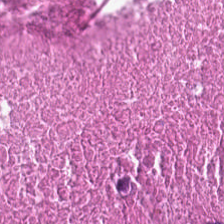FFPE. H&E stain.
Debris.
